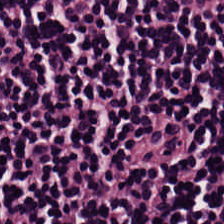H&E.
Tissue = lymphocytic infiltrate.
